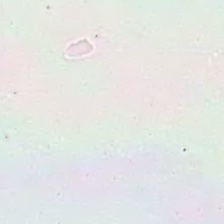Hematoxylin-and-eosin stained section. 224×224 pixel tile.
This field is background (no tissue).
